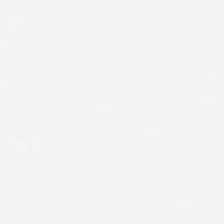Q: What is shown here?
A: Background.
